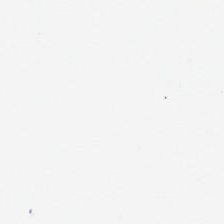Hematoxylin and eosin — Histology — no tissue.
